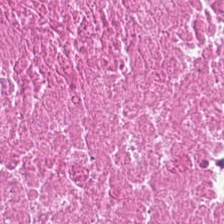224×224 px tile. 0.5 microns per pixel. H&E stain. Tissue class — necrotic debris.
